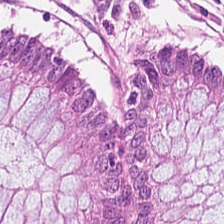FFPE tissue section; 20× equivalent magnification; H&E. Q: Classify this patch.
A: Non-neoplastic colon mucosa.
